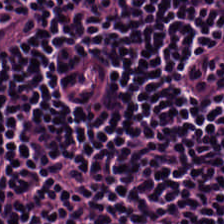Hematoxylin and eosin. Predominant tissue: lymphoid infiltrate.
